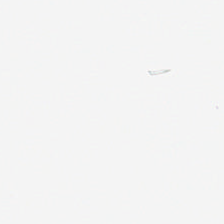224×224 pixel tile · hematoxylin and eosin · 0.5 µm per pixel.
Background — no tissue in this field.
